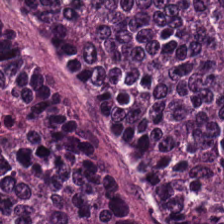H&E. Finding — malignant epithelium.
